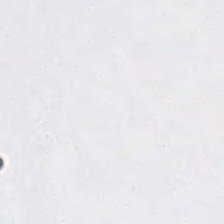Background — no tissue in this field.
